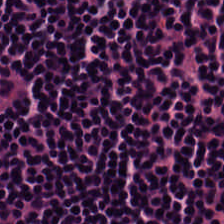H&E stain. 0.5 µm per pixel. Formalin-fixed paraffin-embedded section. Tissue: lymphocyte aggregate.
